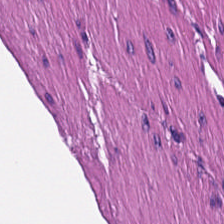Stain: hematoxylin and eosin.
Predominant tissue: smooth muscle.
